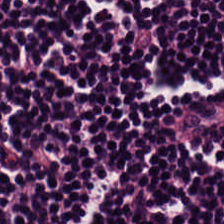Stain: H&E-stained tissue section.
Acquisition: brightfield.
Tissue class: lymphocyte aggregate.
